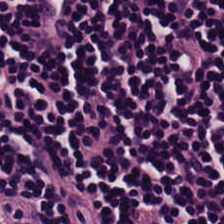Stain: H&E.
Acquisition: brightfield.
Tissue class: lymphocyte aggregate.
